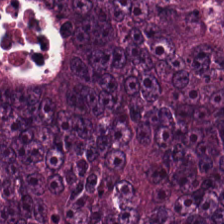0.5 µm/px · hematoxylin and eosin.
The tissue here is colorectal adenocarcinoma.
